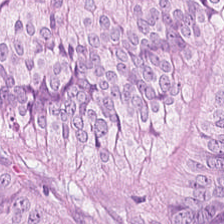H&E-stained tissue section. Impression → tumor epithelium.
